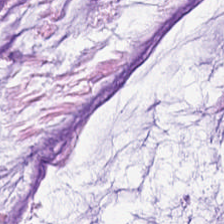Hematoxylin-and-eosin section: mucus.
